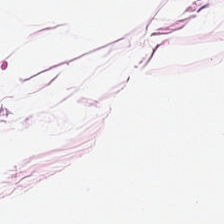Stain: H&E-stained tissue section.
Acquisition: whole-slide-image patch.
Tissue type: adipose tissue.
